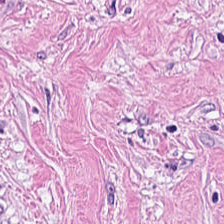H&E stain. 224×224 px tile.
Q: What does this patch show?
A: This is tumor-associated stroma.
